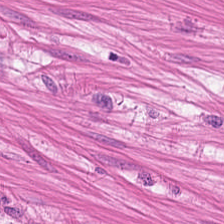Tissue type — muscularis.
